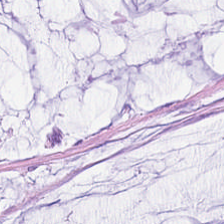224×224 px tile; H&E — Predominant tissue = mucin.
